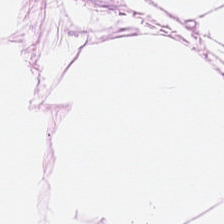WSI patch · hematoxylin-and-eosin stained section.
The tissue here is adipose.
